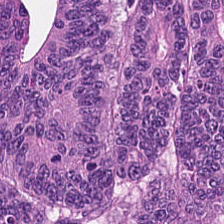Hematoxylin-and-eosin stained section.
Tissue — malignant epithelium.
